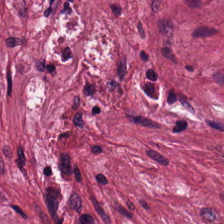H&E stain. Q: Classify this patch.
A: The field shows desmoplastic stroma.
